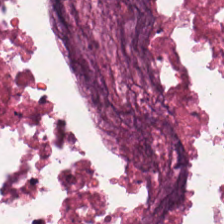H&E-stained section; the field shows debris.
